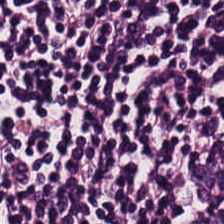224×224 px patch · brightfield microscopy · hematoxylin-and-eosin stained section. The tissue class is lymphoid infiltrate.
